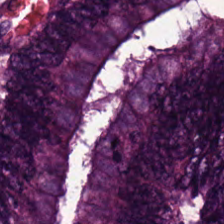Hematoxylin and eosin · 0.5 µm per pixel — The tissue class is colorectal adenocarcinoma.
